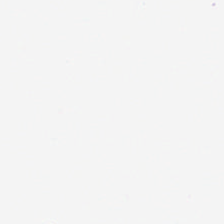Hematoxylin-and-eosin stained section — This patch shows no tissue.
